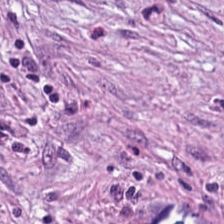Hematoxylin-and-eosin stained section; FFPE tissue section. Histology — desmoplastic stroma.
